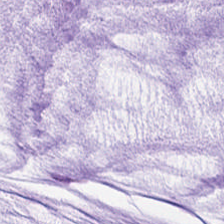{"tissue_type": "mucus"}
